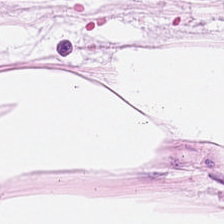H&E-stained tissue section. 224×224 px tile. Tissue type = adipose.
